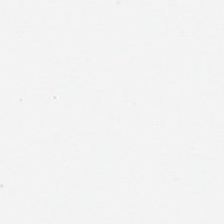224×224 px patch; 0.5 µm per pixel; H&E. Content — no tissue.
